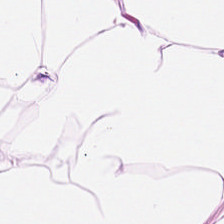H&E-stained tissue section — {"tissue_type": "adipocytes"}
